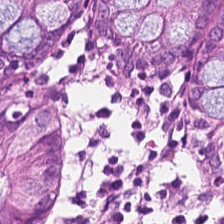The predominant tissue is benign colonic mucosa.
